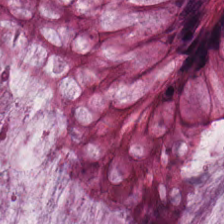H&E stain. Tissue type — benign colonic mucosa.
